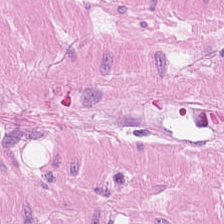Hematoxylin-and-eosin section: smooth-muscle tissue.
